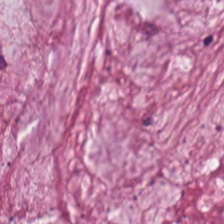224×224 px patch; H&E.
The predominant tissue is extracellular mucin.
